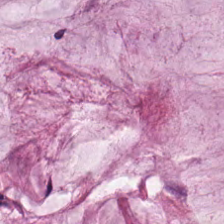Q: What does this patch show?
A: Mucus.
